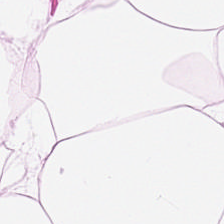Tissue class — adipose.
